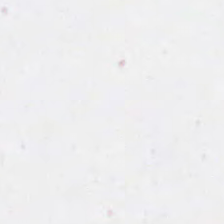FFPE tissue section; 20× equivalent magnification; H&E-stained tissue section — Finding — background.
